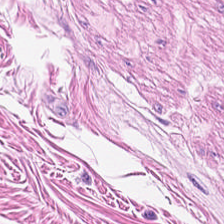Q: Identify the tissue.
A: This is smooth muscle.
